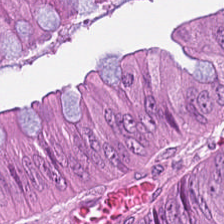H&E — colorectal adenocarcinoma epithelium.
